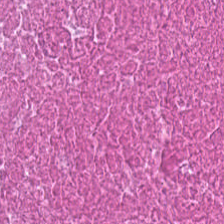H&E stain. Q: What tissue is shown?
A: This is cellular debris.
